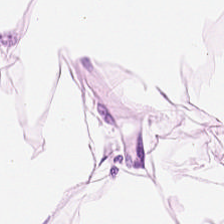H&E stain · brightfield. Predominantly adipocytes.
